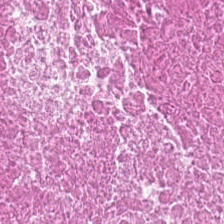H&E.
Predominantly cellular debris.
